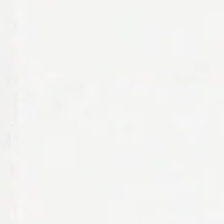H&E stain.
Finding — no tissue.
